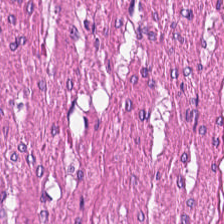Histology — muscularis.
